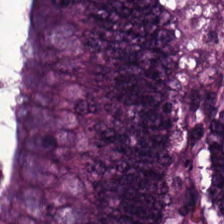Hematoxylin and eosin; 0.5 µm/px. This field is malignant epithelium.
